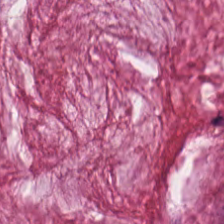Stain: H&E.
Resolution: 0.5 µm per pixel.
Acquisition: whole-slide-image patch.
Tissue: mucus.
